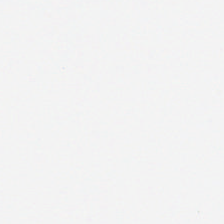Q: What is shown in this field?
A: It is empty background.
